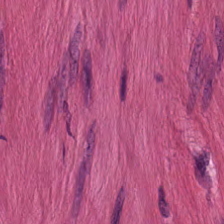Finding → smooth muscle.
